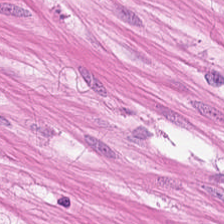0.5 µm per pixel; 224×224 pixel tile; H&E-stained tissue section. {"tissue_type": "muscularis"}
